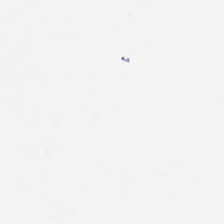0.5 microns per pixel · hematoxylin and eosin.
Field content — no tissue.
